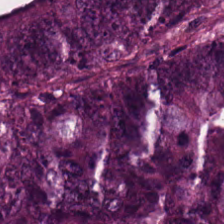H&E-stained tissue section · whole-slide-image patch · formalin-fixed paraffin-embedded section. Predominantly colorectal adenocarcinoma epithelium.
